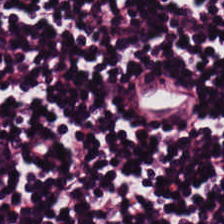This field is lymphocyte aggregate.
